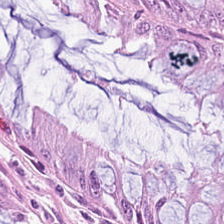Hematoxylin and eosin; brightfield microscopy.
Q: Classify this patch.
A: Normal colonic mucosa.
